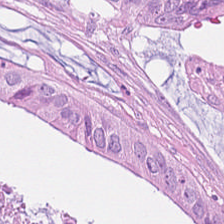H&E stain · 224×224 pixel tile · 20× equivalent magnification.
Q: What does this patch show?
A: Colorectal adenocarcinoma.
